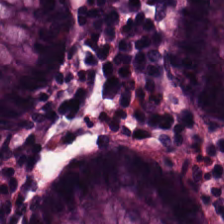H&E-stained section; the field shows benign colonic mucosa.
